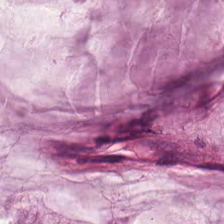Tissue type — mucin.
